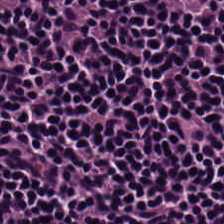Whole-slide-image patch. Hematoxylin-and-eosin stained section. 0.5 microns per pixel. The predominant tissue is lymphocytes.
